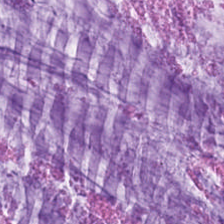H&E patch showing extracellular mucin.
